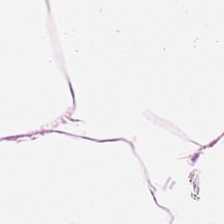This field is adipose.
